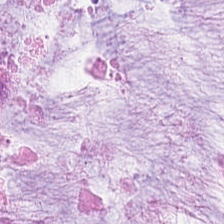20× equivalent magnification. H&E stain — The classification is extracellular mucin.
